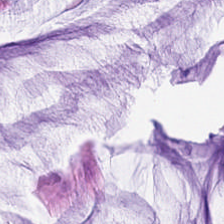H&E stain.
Predominantly mucus.
